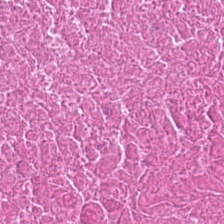H&E-stained tissue section. Impression → debris.
